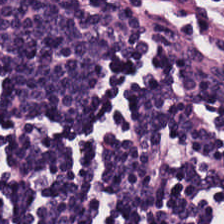H&E stain — This field is lymphocytic infiltrate.
